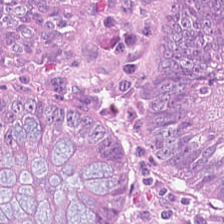Hematoxylin-and-eosin section: colorectal adenocarcinoma epithelium.
